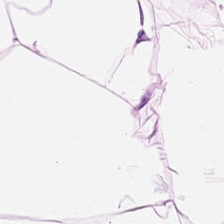H&E-stained tissue section. Brightfield microscopy. FFPE — Adipose.
